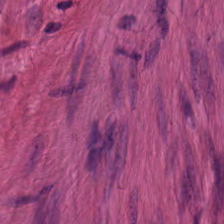Formalin-fixed paraffin-embedded section. H&E stain. Q: What is shown in this field?
A: It is muscularis.
